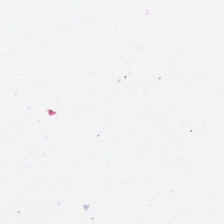FFPE. H&E-stained tissue section. 20× equivalent magnification. No tissue.
